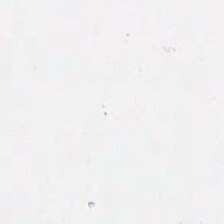H&E-stained tissue section · WSI patch.
Content: background (no tissue).
